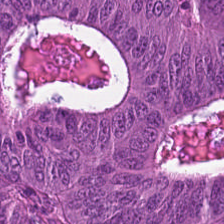FFPE · H&E stain — This field is adenocarcinoma.
